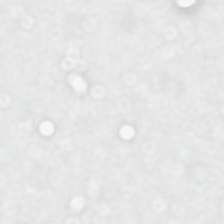Hematoxylin-and-eosin stained section — The field content is empty background.
